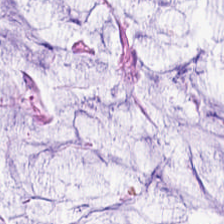H&E stain · brightfield microscopy — The tissue is extracellular mucin.
